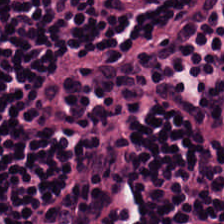H&E — Q: What does this patch show?
A: It is lymphocytes.
